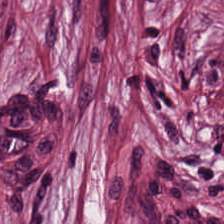Whole-slide-image patch · FFPE · H&E-stained tissue section — Q: What tissue type is shown here?
A: This is desmoplastic stroma.
